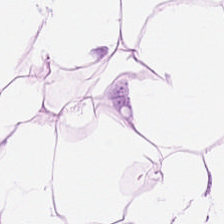H&E stain. Adipose.
